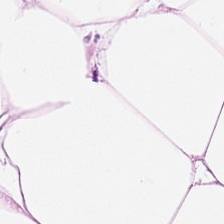Hematoxylin and eosin. Predominant tissue — adipose.
